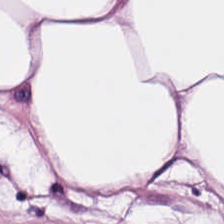Brightfield microscopy. H&E-stained tissue section. 0.5 µm per pixel. Predominantly fat tissue.
